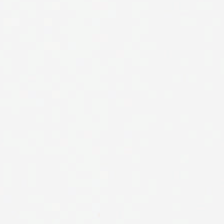Field content = empty background.
